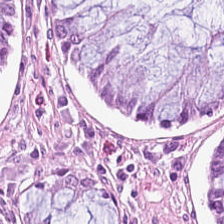Predominant tissue = non-neoplastic colon mucosa.
